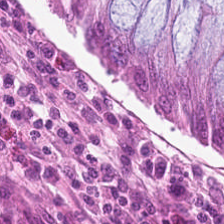Q: What does this patch show?
A: The field shows benign colonic mucosa.
